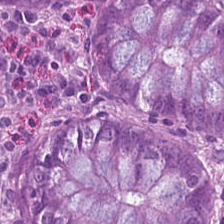Stain: H&E-stained tissue section.
Tissue: benign colonic mucosa.
